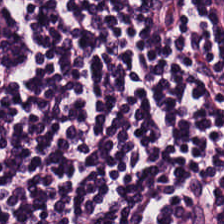Q: What tissue type is shown here?
A: The field shows lymphocytic infiltrate.
